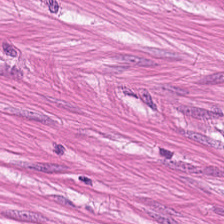H&E stain — Smooth-muscle tissue.
